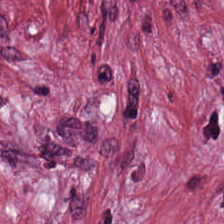Hematoxylin and eosin — The predominant tissue is desmoplastic stroma.
